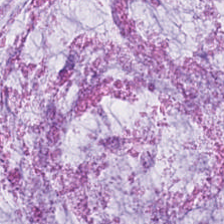H&E-stained tissue section. Tissue type = mucin.
